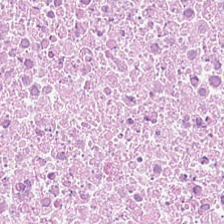FFPE. H&E.
Impression → cellular debris.
